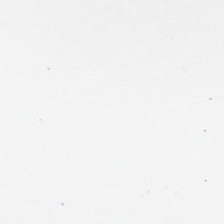H&E stain.
The content is background (no tissue).
